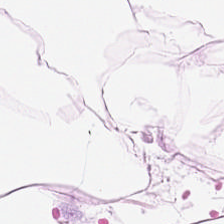Stain: H&E stain.
Tissue: fat tissue.
